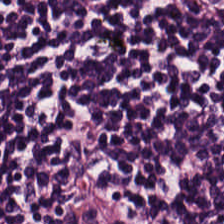H&E stain · brightfield · 0.5 µm per pixel. Lymphoid infiltrate.
